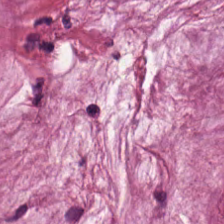Hematoxylin and eosin; 20× equivalent magnification.
Finding → extracellular mucin.
